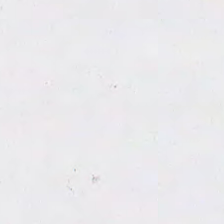Brightfield microscopy; hematoxylin and eosin.
Content = empty background.
